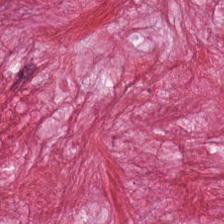H&E-stained tissue section. Brightfield microscopy. Predominant tissue: desmoplastic stroma.
